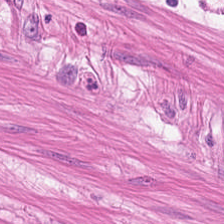Stain: hematoxylin and eosin.
Tissue type: smooth-muscle tissue.
